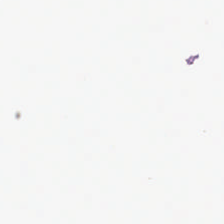Stain: H&E.
Preparation: FFPE tissue section.
Resolution: 0.5 µm per pixel.
Content: background.
